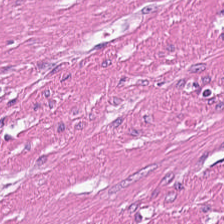H&E — This field is smooth muscle.
